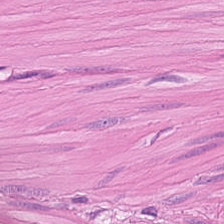Stain: hematoxylin-and-eosin stained section.
Tissue type: muscularis.
